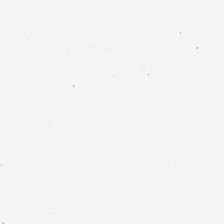H&E-stained tissue section — Field content — empty background.
